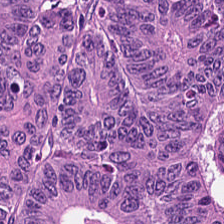Stain: H&E.
Tile size: 224×224 px tile.
Tissue: adenocarcinoma.
